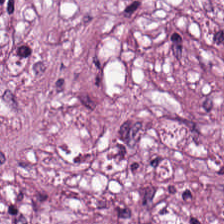H&E stain. {"tissue_type": "cancer-associated stroma"}
